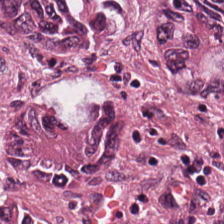Predominantly tumor epithelium.
